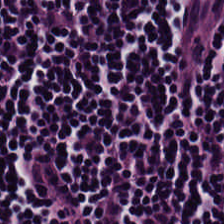Impression — lymphocytes.
